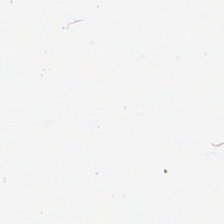{"tissue_type": "adipocytes"}
